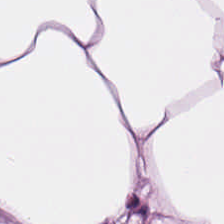H&E.
The tissue here is adipocytes.
